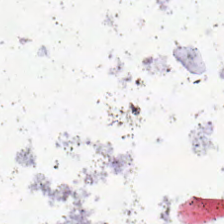Empty field — background (no tissue).
